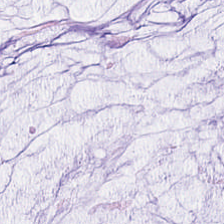Stain: hematoxylin and eosin.
Tile size: 224×224 pixel tile.
Tissue class: mucus.
